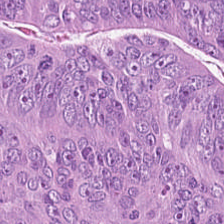H&E stain · formalin-fixed paraffin-embedded section.
Q: What type of tissue is this?
A: Colorectal adenocarcinoma.
